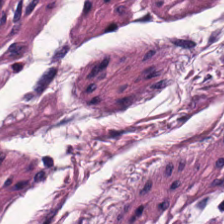H&E — smooth muscle.
